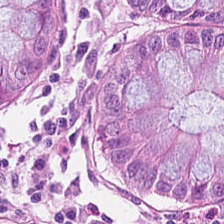Hematoxylin-and-eosin stained section.
Tissue — normal colonic mucosa.
